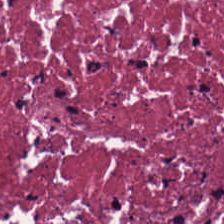Hematoxylin-and-eosin stained section; FFPE.
Q: What type of tissue is this?
A: The field shows cellular debris.
